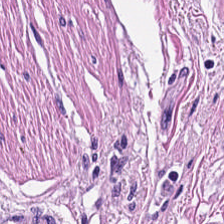H&E stain — Showing smooth-muscle tissue.
